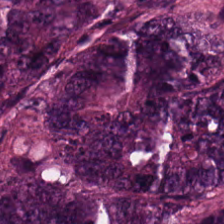H&E stain. Whole-slide-image patch.
Predominantly malignant epithelium.
